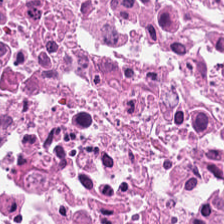Hematoxylin and eosin — Q: Identify the tissue.
A: The field shows debris.
